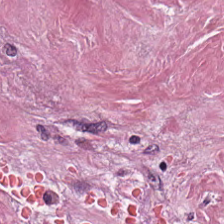Hematoxylin-and-eosin stained section.
{"tissue_type": "tumor stroma"}
